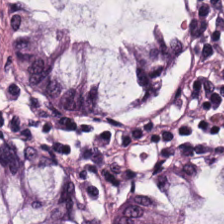Formalin-fixed paraffin-embedded section · H&E-stained tissue section.
Q: What tissue is shown?
A: It is benign colonic mucosa.
